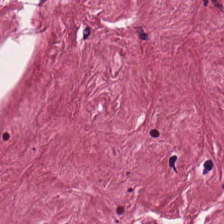The tissue type is tumor-associated stroma.
